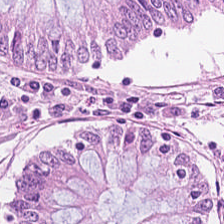FFPE · WSI patch · hematoxylin-and-eosin stained section.
Tissue = non-neoplastic colon mucosa.
